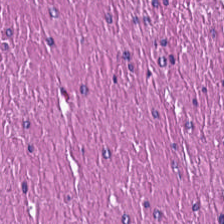H&E.
Tissue type: muscularis.
